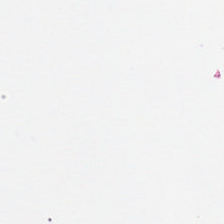224×224 px tile. Hematoxylin and eosin. Background (no tissue).
